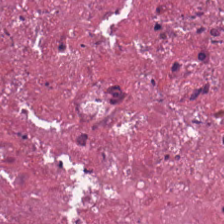Impression — debris.
